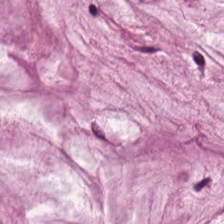H&E-stained tissue section — Tissue type = mucin.
